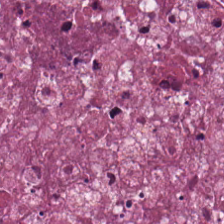H&E stain · brightfield microscopy. The classification is debris.
